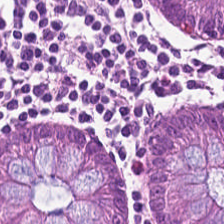Hematoxylin and eosin.
Q: What tissue type is shown here?
A: This is benign colonic mucosa.
